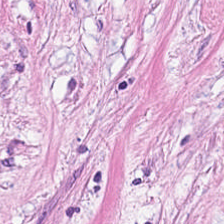Hematoxylin and eosin. Tumor stroma.
